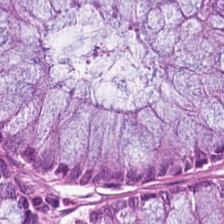0.5 µm/px · H&E-stained tissue section · brightfield.
Q: What is shown in this field?
A: This is non-neoplastic colon mucosa.
